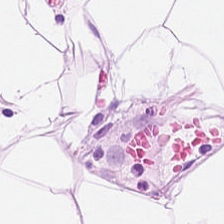Impression → adipose tissue.
